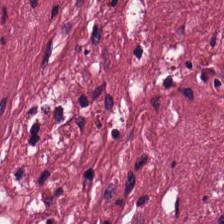H&E — Tissue class: tumor stroma.
